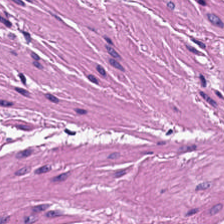Stain: H&E-stained tissue section.
Tissue type: smooth muscle.
